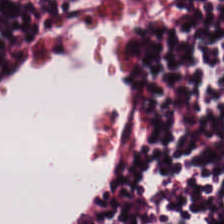Stain: hematoxylin-and-eosin stained section.
Tissue type: lymphocytic infiltrate.
